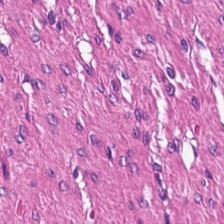Hematoxylin-and-eosin stained section. WSI patch. {"tissue_type": "smooth-muscle tissue"}
